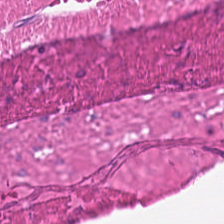Hematoxylin and eosin.
Tissue: smooth muscle.
